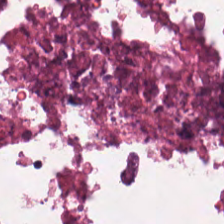224×224 px tile. Hematoxylin-and-eosin stained section. Necrotic debris.
